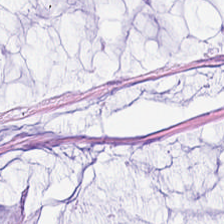H&E.
Tissue — extracellular mucin.
